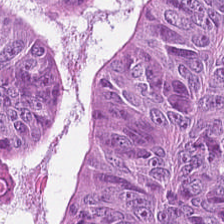H&E — Histology → colorectal adenocarcinoma.
